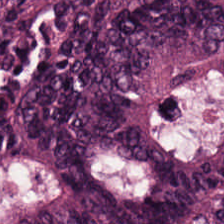Hematoxylin and eosin.
This patch shows colorectal adenocarcinoma.
